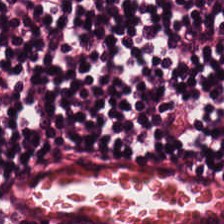0.5 microns per pixel. Hematoxylin-and-eosin stained section. FFPE tissue section. {"tissue_type": "lymphocytes"}
